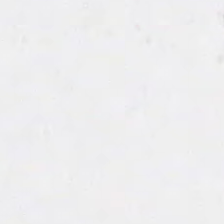Hematoxylin-and-eosin stained section · 224×224 pixel tile · FFPE tissue section — Background — no tissue in this field.
